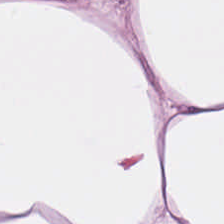FFPE tissue section · hematoxylin and eosin · 0.5 µm/px.
{"tissue_type": "adipocytes"}
